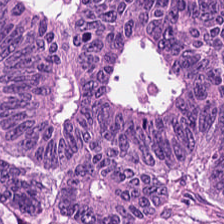Hematoxylin and eosin; 20× equivalent magnification — Predominant tissue: adenocarcinoma.
